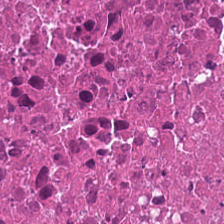Hematoxylin and eosin; formalin-fixed paraffin-embedded section. Classification = necrotic debris.
